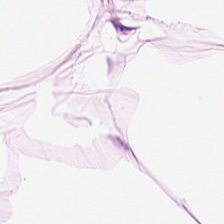Hematoxylin and eosin · FFPE tissue section · 224×224 px tile — The classification is adipose tissue.
